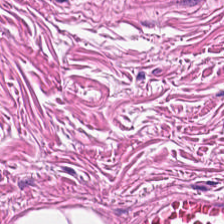H&E-stained tissue section. Q: Identify the tissue.
A: Muscularis.
